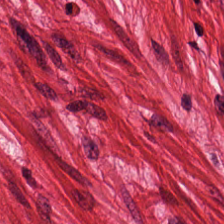224×224 px tile · hematoxylin and eosin. Tissue type — muscularis.
